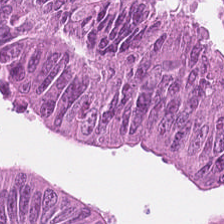Stain: H&E-stained tissue section.
Tile size: 224×224 pixel tile.
Tissue class: adenocarcinoma.
